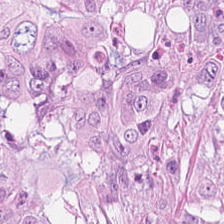FFPE tissue section · H&E stain — {"tissue_type": "malignant epithelium"}
